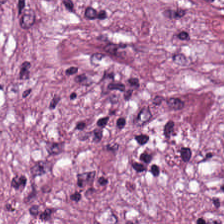{"tissue_type": "cancer-associated stroma"}
